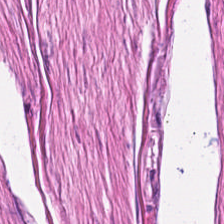Stain: hematoxylin-and-eosin stained section.
Tile size: 224×224 px tile.
Predominant tissue: muscularis.
